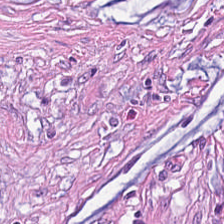H&E stain; brightfield — Histology → tumor stroma.
